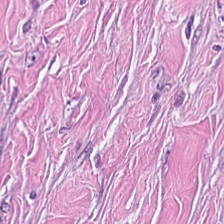224×224 px tile. Hematoxylin-and-eosin stained section — The predominant tissue is cancer-associated stroma.
